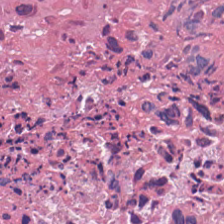Whole-slide-image patch. H&E-stained tissue section — Predominant tissue = debris.
